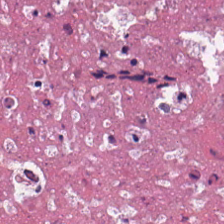H&E — debris.
